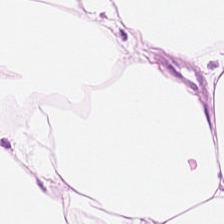H&E stain. Q: Classify this patch.
A: It is fat tissue.
